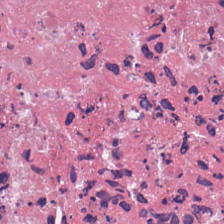Hematoxylin-and-eosin stained section; 224×224 pixel tile; brightfield microscopy.
The tissue here is necrotic debris.
